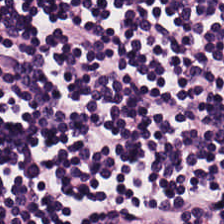Showing lymphocytic infiltrate.
